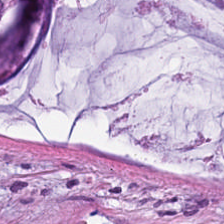Stain: hematoxylin and eosin.
Tile size: 224×224 px tile.
Predominant tissue: extracellular mucin.
